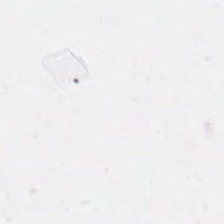Hematoxylin-and-eosin stained section. No tissue.
